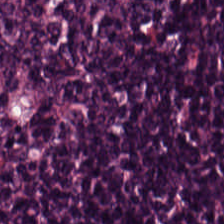Tissue class: lymphocytes.
